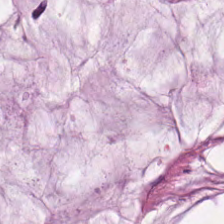H&E stain. Tissue type: mucin.
